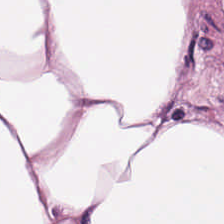H&E · 0.5 µm per pixel · whole-slide-image patch — Impression — adipose.
